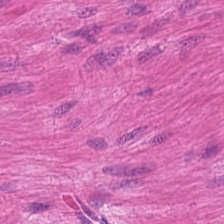H&E. Q: Classify this patch.
A: Smooth-muscle tissue.
